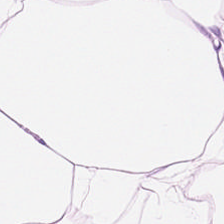H&E. Q: What tissue type is shown here?
A: The field shows adipocytes.
